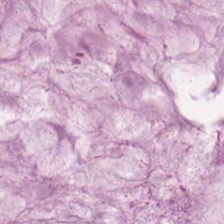H&E stain — The predominant tissue is mucus.
